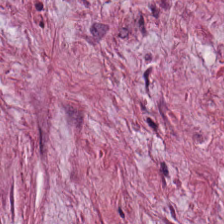Stain: hematoxylin-and-eosin stained section.
Tile size: 224×224 pixel tile.
Classification: cancer-associated stroma.
